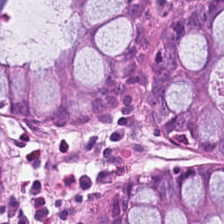The tissue here is normal colonic mucosa.
